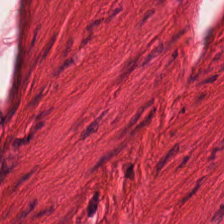Hematoxylin-and-eosin stained section.
Tissue type — muscularis.
